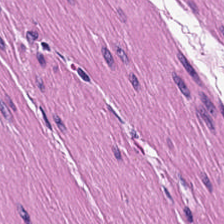Hematoxylin and eosin — Finding → muscularis.
